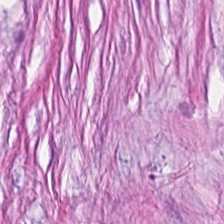Hematoxylin-and-eosin stained section.
Tumor stroma.
